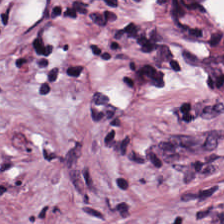H&E.
This field is desmoplastic stroma.
